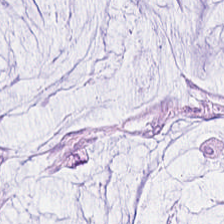Tissue = mucus.
